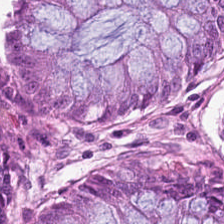Stain: hematoxylin-and-eosin stained section.
Preparation: FFPE tissue section.
Tissue: non-neoplastic colon mucosa.
